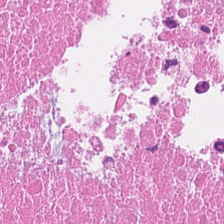20× equivalent magnification · H&E stain.
Finding — necrotic debris.
